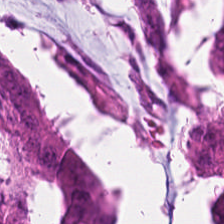The tissue is adenocarcinoma.
